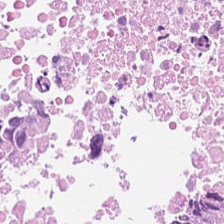Stain: hematoxylin and eosin.
Classification: cellular debris.
